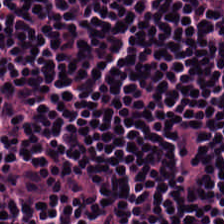0.5 µm/px; brightfield microscopy; H&E-stained tissue section. {"tissue_type": "lymphocyte aggregate"}
